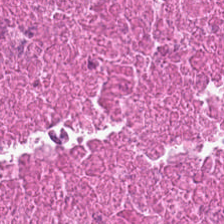Finding — necrotic debris.
